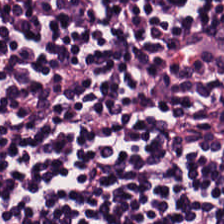Brightfield microscopy · 20× equivalent magnification · H&E stain. The classification is lymphocyte aggregate.
